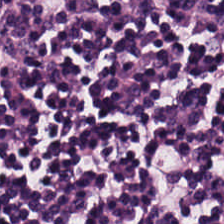FFPE tissue section · 0.5 µm/px · hematoxylin-and-eosin stained section — Q: What tissue type is shown here?
A: Lymphocytes.
